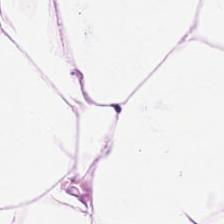H&E-stained tissue section. Adipocytes.
